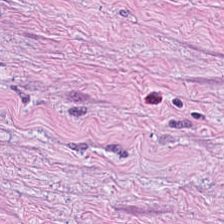Whole-slide-image patch; FFPE tissue section; H&E-stained tissue section — Tumor stroma.
